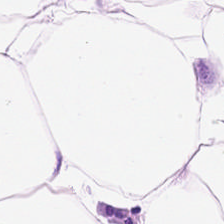20× equivalent magnification. H&E stain. Q: What type of tissue is this?
A: The field shows adipose.
